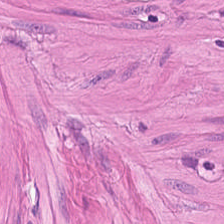Stain: hematoxylin and eosin.
Classification: smooth-muscle tissue.
